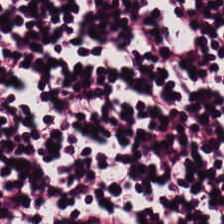H&E. 224×224 pixel tile — Predominant tissue: lymphocyte aggregate.
